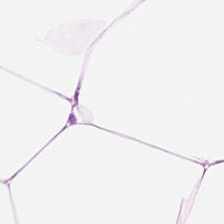224×224 pixel tile. Hematoxylin-and-eosin stained section.
Adipocytes.
